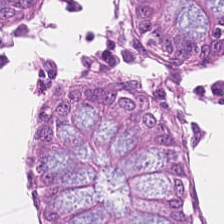Hematoxylin-and-eosin stained section — Q: What type of tissue is this?
A: This is benign colonic mucosa.
